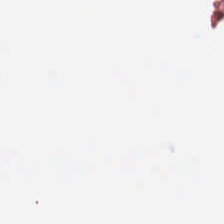224×224 px patch; H&E — Background — no tissue in this field.
